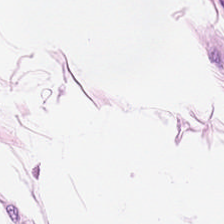H&E; 0.5 µm/px — This patch shows adipose tissue.
